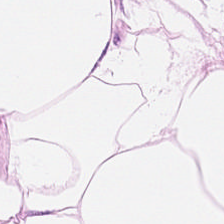20× equivalent magnification · hematoxylin-and-eosin stained section — {"tissue_type": "adipose tissue"}
